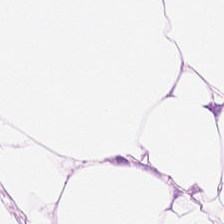H&E patch showing adipocytes.
